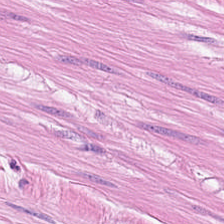Stain: H&E stain.
Acquisition: brightfield.
Predominant tissue: smooth muscle.
